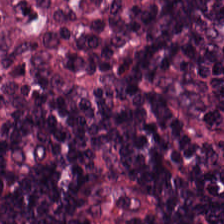H&E stain. 0.5 µm per pixel.
Finding — lymphocyte aggregate.
